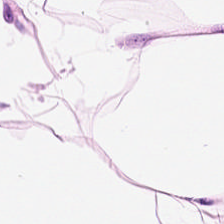The classification is adipose.
